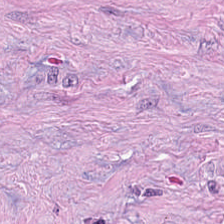Finding — desmoplastic stroma.
